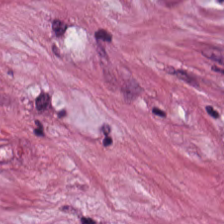Predominant tissue: cancer-associated stroma.
